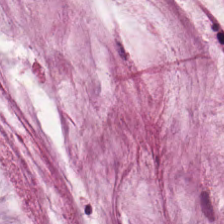H&E. Q: Identify the tissue.
A: The field shows mucin.
